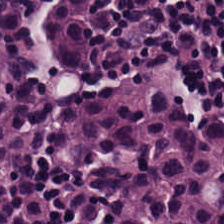Hematoxylin-and-eosin stained section.
The predominant tissue is lymphocytes.
